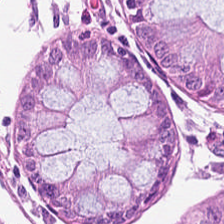224×224 px tile; H&E stain. Non-neoplastic colon mucosa.
